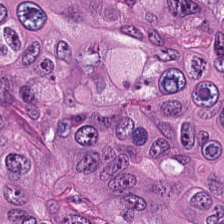Stain: H&E-stained tissue section.
Tissue type: tumor epithelium.
